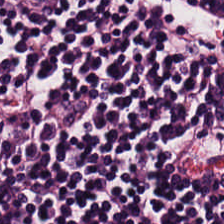Stain: H&E stain.
Preparation: FFPE.
Predominant tissue: lymphocytes.
